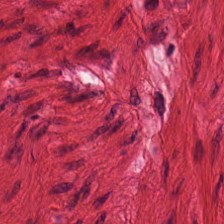Whole-slide-image patch. 224×224 px patch. H&E stain — This patch shows smooth-muscle tissue.
